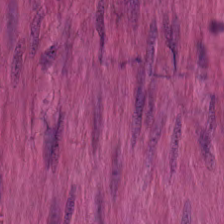Hematoxylin-and-eosin stained section · 224×224 px patch.
Q: What is shown in this field?
A: The field shows muscularis.
